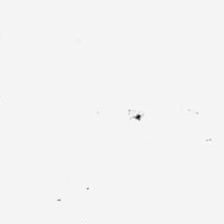Q: What is shown in this field?
A: Background.
